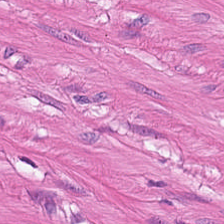Stain: H&E stain.
Tissue class: muscularis.
